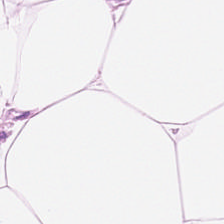Showing adipose tissue.
